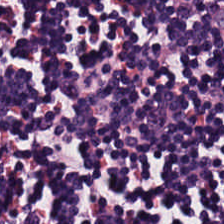Finding — lymphocytes.
